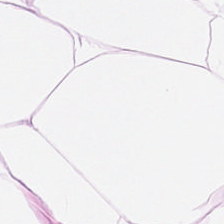This field is adipocytes.
